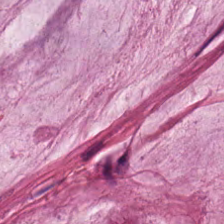224×224 px tile · H&E-stained tissue section — This field is mucus.
